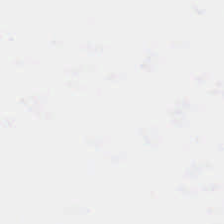This field is background (no tissue).
